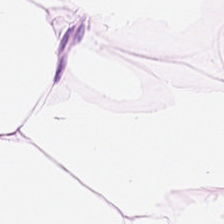H&E-stained tissue section; 20× equivalent magnification.
Q: Identify the tissue.
A: This is adipose tissue.
